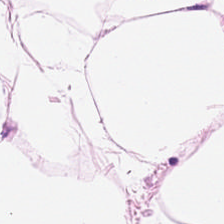H&E.
Predominantly adipose tissue.
